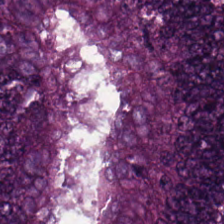H&E. FFPE.
Q: What does this patch show?
A: Malignant epithelium.
